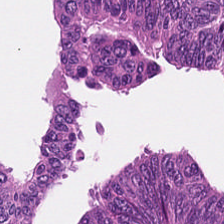Predominantly colorectal adenocarcinoma epithelium.
